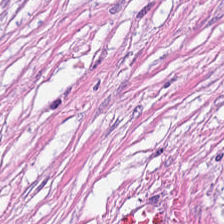The tissue is cancer-associated stroma.
